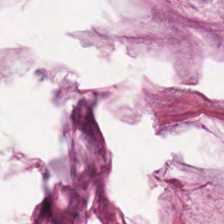H&E-stained tissue section. The predominant tissue is mucus.
